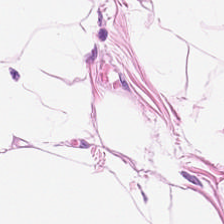H&E stain.
The tissue here is adipocytes.
